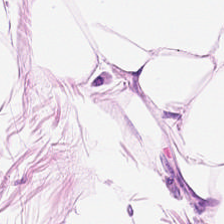H&E.
Predominantly fat tissue.
